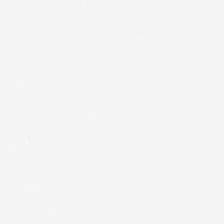WSI patch · H&E.
Q: What is shown in this field?
A: It is background (no tissue).
